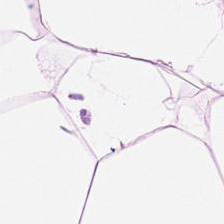H&E.
Showing fat tissue.
